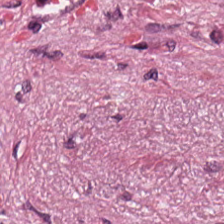H&E stain.
Histology → desmoplastic stroma.
